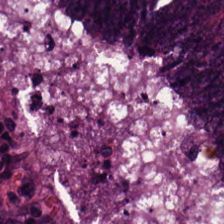Q: What tissue type is shown here?
A: It is adenocarcinoma.
